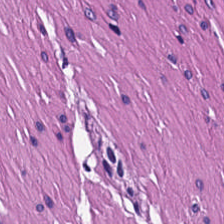20× equivalent magnification · 224×224 pixel tile · hematoxylin-and-eosin stained section — The tissue here is muscularis.
